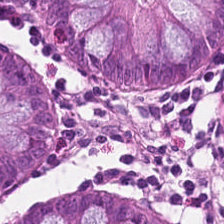Stain: H&E stain.
Acquisition: WSI patch.
Tissue class: non-neoplastic colon mucosa.
